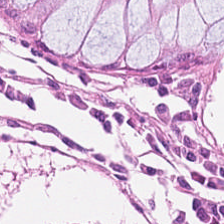Hematoxylin and eosin; brightfield microscopy; 224×224 pixel tile.
Showing normal colonic mucosa.
